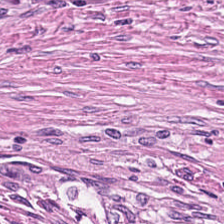H&E stain.
Tissue: tumor-associated stroma.
